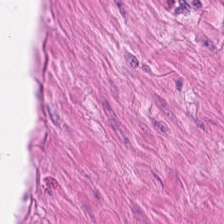Brightfield microscopy; H&E stain. Smooth-muscle tissue.
